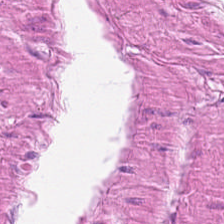This patch shows muscularis.
